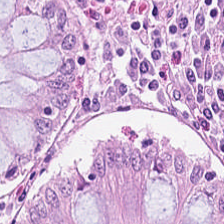Hematoxylin and eosin. Non-neoplastic colon mucosa.
